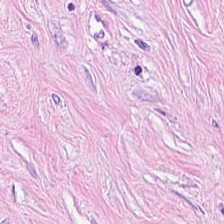Predominantly cancer-associated stroma.
